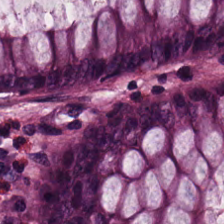H&E; whole-slide-image patch; 224×224 px tile.
Showing benign colonic mucosa.
